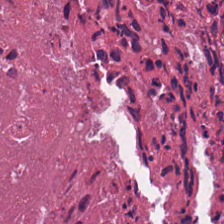H&E-stained tissue section; 224×224 px patch. Q: What type of tissue is this?
A: This is cellular debris.
